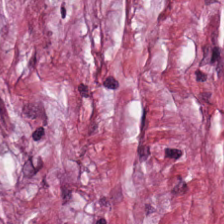H&E stain — The tissue here is tumor stroma.
